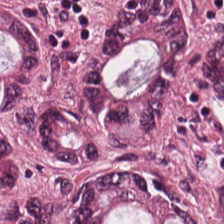H&E stain — Tissue class — tumor epithelium.
